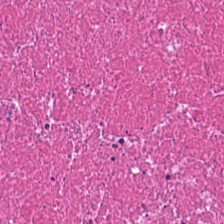Hematoxylin-and-eosin stained section · 224×224 pixel tile · FFPE tissue section — Q: What tissue type is shown here?
A: It is cellular debris.
